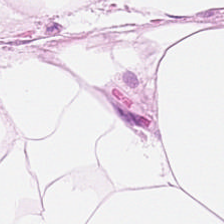H&E stain — Q: Classify this patch.
A: Adipose.
